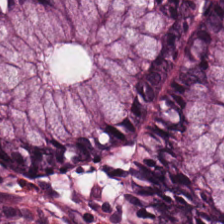H&E-stained tissue section.
Impression → normal colonic mucosa.
